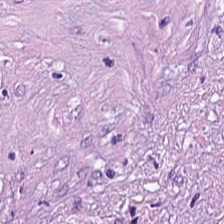224×224 px patch; H&E stain. Tissue class = tumor-associated stroma.
